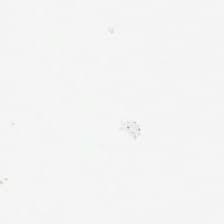Stain: hematoxylin and eosin.
Resolution: 0.5 µm/px.
Preparation: FFPE tissue section.
Field content: empty background.
